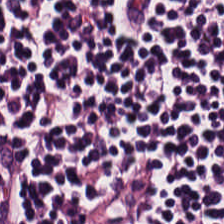H&E stain.
Lymphocyte aggregate.
